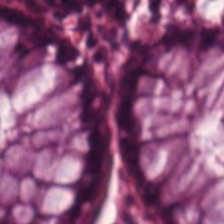Brightfield microscopy. H&E. Showing non-neoplastic colon mucosa.
